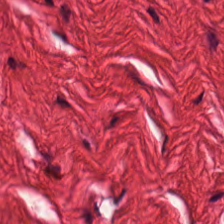H&E-stained tissue section · FFPE tissue section.
The tissue is muscularis.
